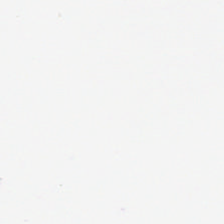Hematoxylin and eosin. FFPE.
Content — background.
